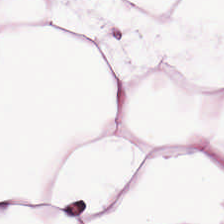Classification = adipocytes.
